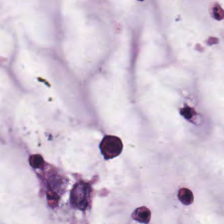H&E stain. The predominant tissue is mucin.
